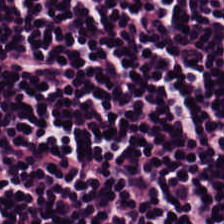H&E-stained tissue section. Finding — lymphocyte aggregate.
